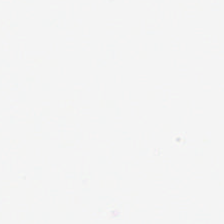H&E stain — Background — no tissue in this field.
